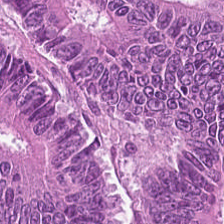H&E-stained tissue section — Classification — adenocarcinoma.
